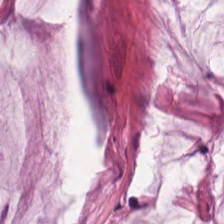This field is mucin.
